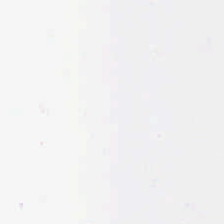Stain: hematoxylin-and-eosin stained section.
Classification: empty background.
